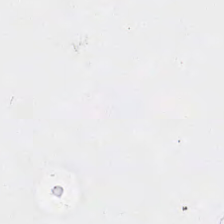Hematoxylin-and-eosin stained section. Content — empty background.
